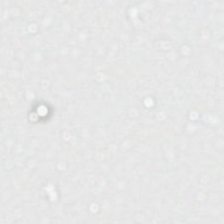Field content — empty background.
